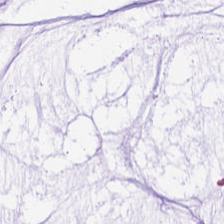Brightfield microscopy · hematoxylin and eosin — The tissue here is mucus.
